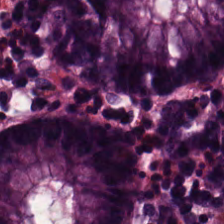Stain: H&E.
Predominant tissue: benign colonic mucosa.
